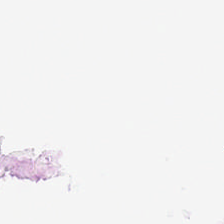Whole-slide-image patch; H&E-stained tissue section. Q: Classify this patch.
A: This is no tissue.
